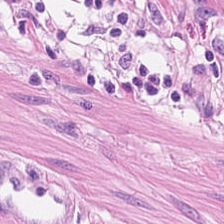FFPE; H&E-stained tissue section — Histology — smooth-muscle tissue.
